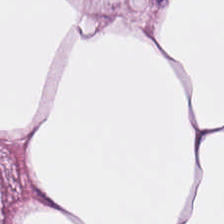H&E-stained tissue section. Formalin-fixed paraffin-embedded section. Brightfield. Predominant tissue — adipocytes.
